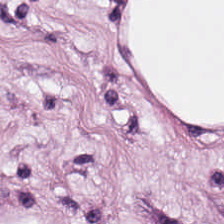Stain: hematoxylin-and-eosin stained section.
Tile size: 224×224 pixel tile.
Tissue type: adipose.
